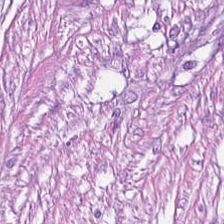H&E-stained section; the field shows tumor-associated stroma.
